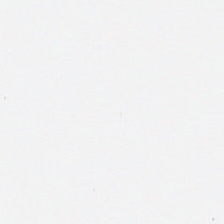Hematoxylin-and-eosin stained section · 224×224 px patch — Field content — background.
